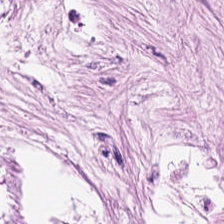Hematoxylin and eosin.
The tissue here is cancer-associated stroma.
